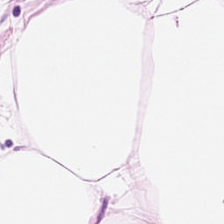H&E stain · 20× equivalent magnification.
The tissue class is adipose tissue.
